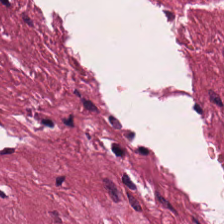224×224 px patch · WSI patch · H&E-stained tissue section. Tissue class: cancer-associated stroma.
